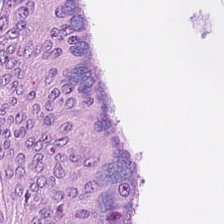WSI patch. H&E. 0.5 µm per pixel — The predominant tissue is colorectal adenocarcinoma epithelium.
